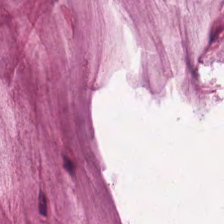Stain: H&E stain.
Resolution: 0.5 µm/px.
Tile size: 224×224 px patch.
Tissue type: extracellular mucin.
